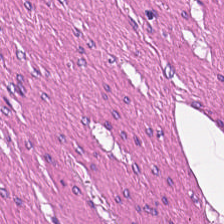H&E-stained tissue section; 224×224 px patch; 20× equivalent magnification.
Tissue — smooth muscle.
